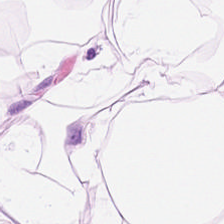Q: What tissue is shown?
A: It is fat tissue.
